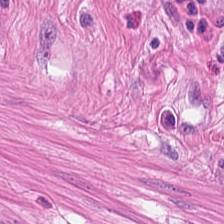0.5 µm/px; brightfield; hematoxylin-and-eosin stained section — Predominant tissue: smooth muscle.
